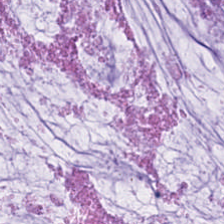The tissue type is mucin.
